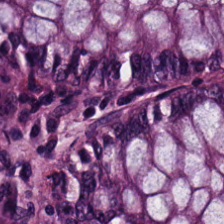H&E-stained tissue section.
Impression — non-neoplastic colon mucosa.
